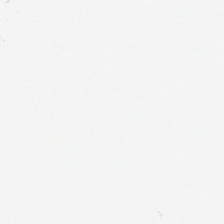H&E-stained tissue section. {"content": "empty background"}
